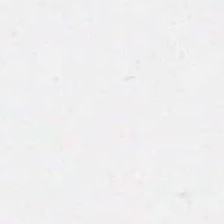{"content": "background"}
